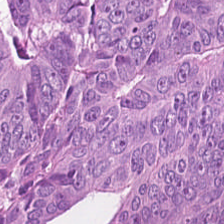H&E.
Q: What is shown here?
A: Adenocarcinoma.
